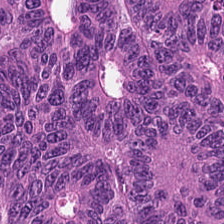H&E. Histology — adenocarcinoma.
